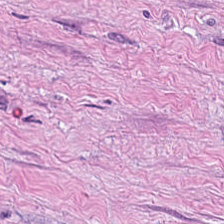0.5 microns per pixel. H&E-stained tissue section.
Finding — tumor stroma.
